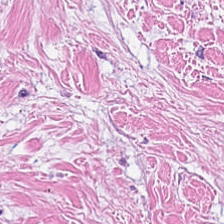Hematoxylin and eosin. Formalin-fixed paraffin-embedded section. Whole-slide-image patch. Tissue: tumor stroma.
